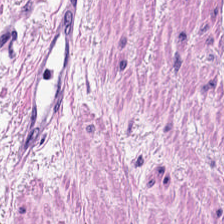H&E. Showing smooth-muscle tissue.
